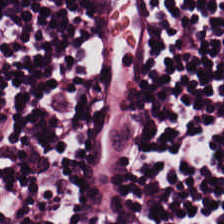H&E-stained tissue section.
Q: What type of tissue is this?
A: This is lymphocyte aggregate.
